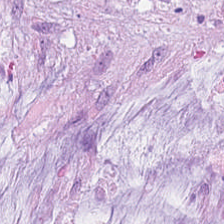224×224 px patch. Hematoxylin-and-eosin stained section. Whole-slide-image patch. Classification = mucin.
